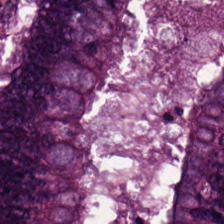{"tissue_type": "colorectal adenocarcinoma epithelium"}
